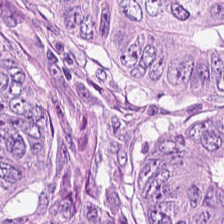FFPE tissue section; WSI patch; hematoxylin and eosin. {"tissue_type": "adenocarcinoma"}
